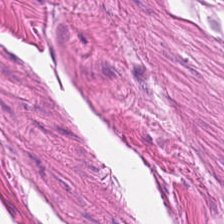H&E · 0.5 µm/px. This field is smooth-muscle tissue.
